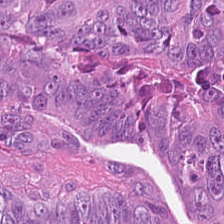Hematoxylin and eosin.
The tissue here is tumor epithelium.
